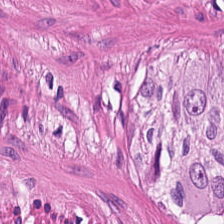Stain: H&E-stained tissue section.
Tissue class: muscularis.
